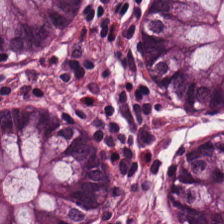H&E. 0.5 µm/px. 224×224 px patch — This field is normal colon mucosa.
